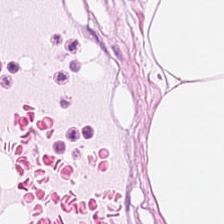Stain: H&E.
Preparation: FFPE tissue section.
Classification: adipose.
